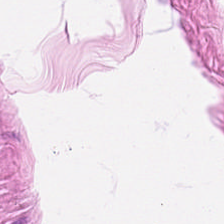Stain: H&E.
Tissue type: muscularis.
